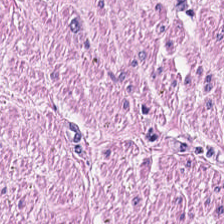224×224 px patch. Formalin-fixed paraffin-embedded section. H&E stain. Muscularis.
